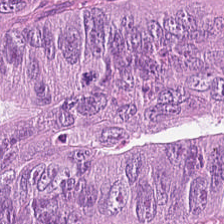Brightfield. H&E.
Finding → colorectal adenocarcinoma.
